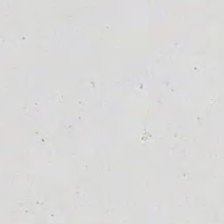No tissue present; background only.
